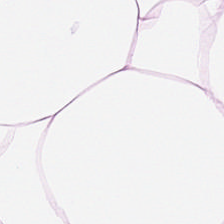0.5 µm per pixel; hematoxylin and eosin. Histology → fat tissue.
